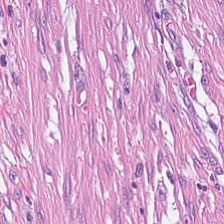H&E patch showing cancer-associated stroma.
